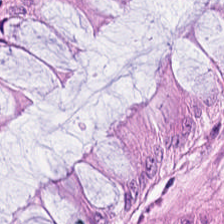Hematoxylin-and-eosin stained section. Tissue class: normal colon mucosa.
